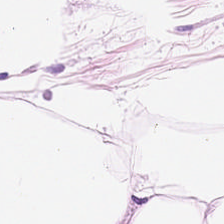H&E — adipose tissue.
